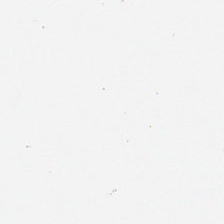Hematoxylin and eosin. No tissue present; background only.
